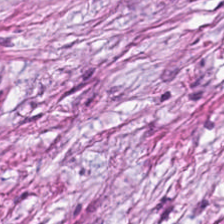H&E. Tissue type — tumor-associated stroma.
